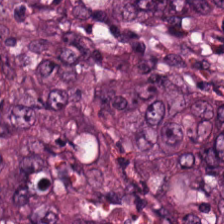FFPE · H&E · 20× equivalent magnification — {"tissue_type": "tumor epithelium"}
